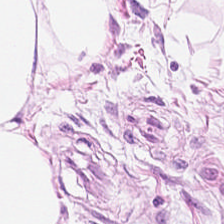224×224 px tile. H&E.
Impression — adipose tissue.
